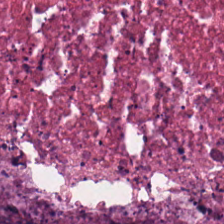0.5 microns per pixel; H&E stain; brightfield microscopy — Q: Identify the tissue.
A: It is cellular debris.
